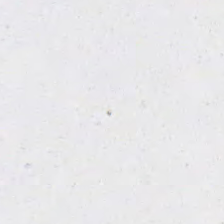Impression — background.
